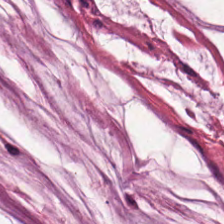Tissue — mucus.
